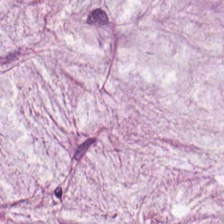224×224 px patch; H&E-stained tissue section — Impression — mucin.
